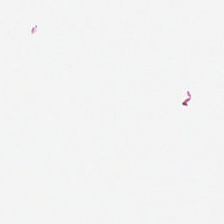Whole-slide-image patch · 224×224 pixel tile · H&E-stained tissue section. Classification — background (no tissue).
